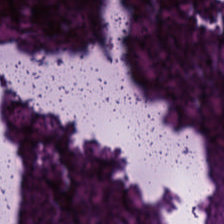Brightfield · hematoxylin and eosin · FFPE tissue section.
Q: What tissue is shown?
A: It is necrotic debris.
